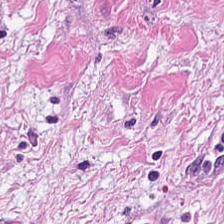Stain: H&E stain.
Preparation: formalin-fixed paraffin-embedded section.
Tissue: desmoplastic stroma.
